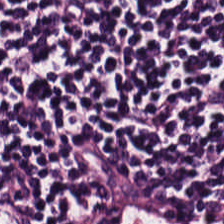Stain: H&E-stained tissue section.
Tissue class: lymphocyte aggregate.
